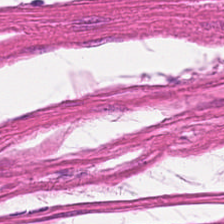Hematoxylin-and-eosin stained section. Predominantly smooth muscle.
